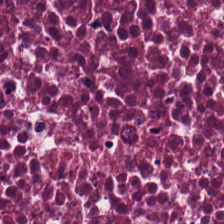Hematoxylin-and-eosin stained section — Q: What tissue is shown?
A: Debris.
